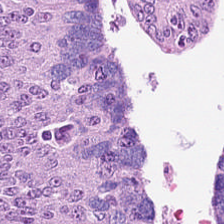Brightfield. H&E — The predominant tissue is colorectal adenocarcinoma.
